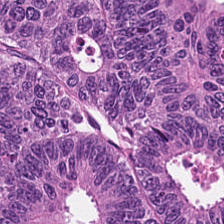Hematoxylin-and-eosin stained section. Tissue: colorectal adenocarcinoma epithelium.
